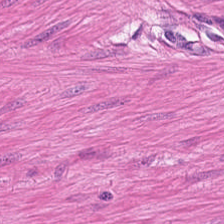224×224 px tile; formalin-fixed paraffin-embedded section; H&E. Showing smooth muscle.
